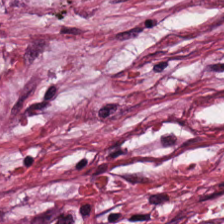Hematoxylin and eosin.
Tumor stroma.
